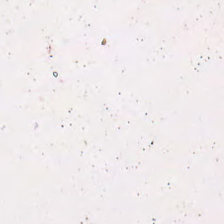H&E-stained section; the field shows cellular debris.
